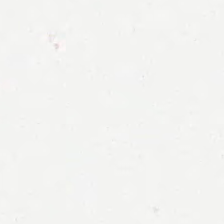0.5 µm per pixel. Brightfield microscopy. H&E stain — Field content — background (no tissue).
